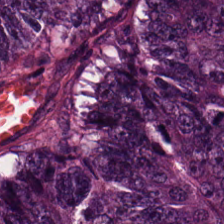Q: What tissue type is shown here?
A: The field shows tumor epithelium.
